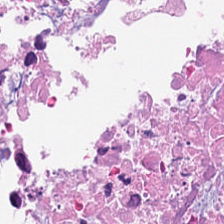Formalin-fixed paraffin-embedded section · H&E.
Impression → debris.
